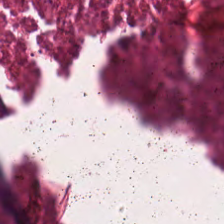Cellular debris.
